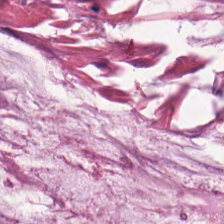20× equivalent magnification · hematoxylin and eosin. Tissue: extracellular mucin.
